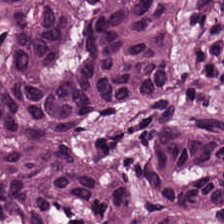Hematoxylin-and-eosin stained section — {"tissue_type": "colorectal adenocarcinoma"}
